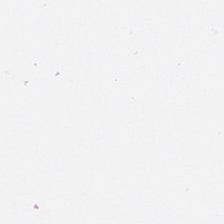Q: Classify this patch.
A: It is no tissue.
